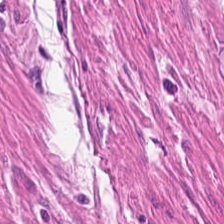H&E-stained section; the field shows smooth muscle.
